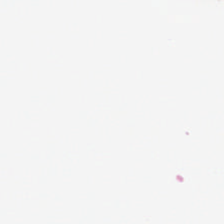Hematoxylin-and-eosin stained section — The classification is background.
